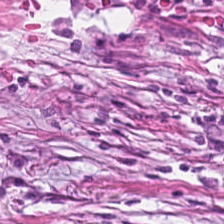224×224 px patch. H&E stain. Tissue type — tumor stroma.
